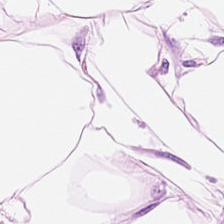0.5 µm per pixel. Whole-slide-image patch. H&E-stained tissue section.
Predominantly adipose.
